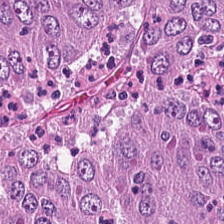Formalin-fixed paraffin-embedded section · 224×224 px tile · H&E.
The tissue is colorectal adenocarcinoma epithelium.
